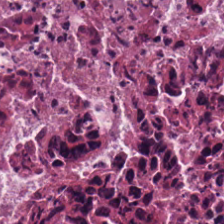0.5 microns per pixel. Hematoxylin and eosin — Q: What type of tissue is this?
A: It is necrotic debris.
